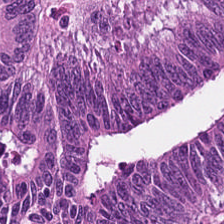H&E stain. This field is colorectal adenocarcinoma.
